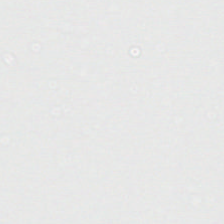Hematoxylin-and-eosin stained section.
Content — background.
